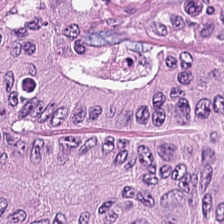Hematoxylin-and-eosin stained section · 0.5 µm/px — Colorectal adenocarcinoma.
